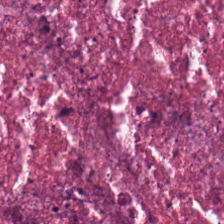This field is necrotic debris.
